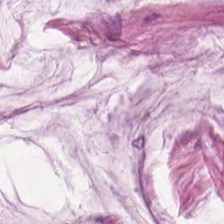Hematoxylin and eosin — This field is extracellular mucin.
